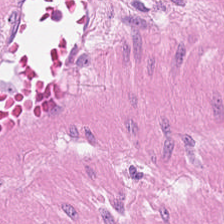0.5 µm per pixel. H&E stain.
Tissue — smooth-muscle tissue.
